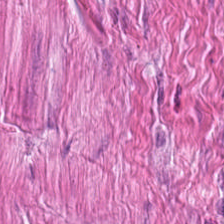H&E. This patch shows smooth-muscle tissue.
